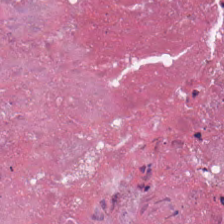H&E — Histology — cellular debris.
